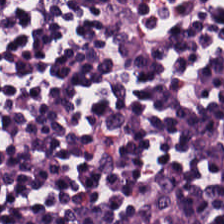Brightfield · hematoxylin and eosin. Lymphocyte aggregate.
